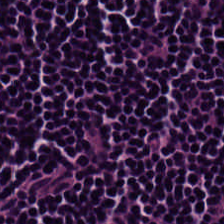224×224 pixel tile · H&E stain. Showing lymphoid infiltrate.
